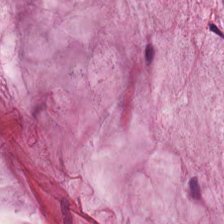Brightfield microscopy. Hematoxylin and eosin. Showing mucin.
